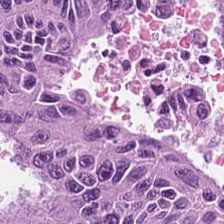Hematoxylin-and-eosin stained section · 0.5 µm per pixel. The classification is tumor epithelium.
